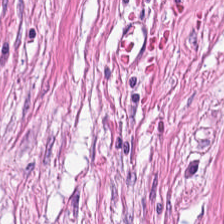Stain: hematoxylin-and-eosin stained section.
Acquisition: whole-slide-image patch.
Tissue type: tumor-associated stroma.
